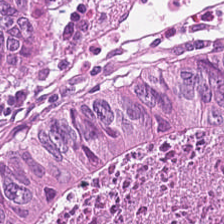Hematoxylin-and-eosin stained section; whole-slide-image patch. Classification = colorectal adenocarcinoma.
